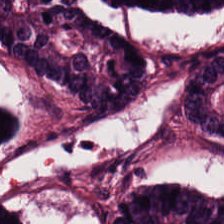Q: What type of tissue is this?
A: This is colorectal adenocarcinoma epithelium.
